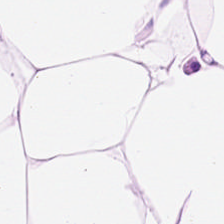Q: What does this patch show?
A: The field shows adipocytes.
